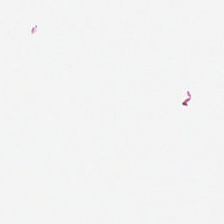H&E stain; 224×224 px patch. Impression — background.
